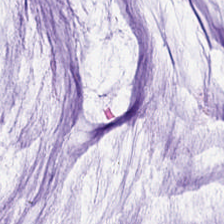H&E stain — The predominant tissue is mucus.
